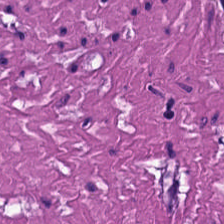H&E.
Q: What tissue is shown?
A: Muscularis.
